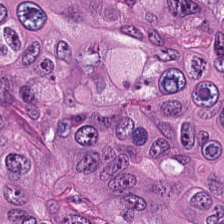0.5 µm per pixel; H&E — This patch shows colorectal adenocarcinoma.
